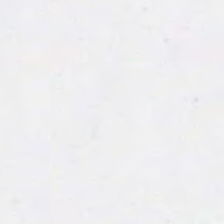H&E. Background — no tissue in this field.
